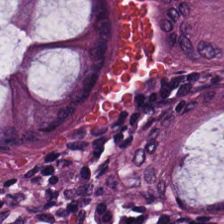Hematoxylin-and-eosin stained section — Predominant tissue: normal colon mucosa.
